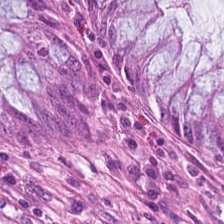Brightfield. Hematoxylin and eosin. 0.5 µm per pixel.
This patch shows normal colon mucosa.
